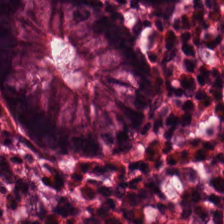224×224 px patch · hematoxylin-and-eosin stained section.
The tissue here is non-neoplastic colon mucosa.
